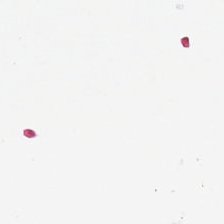20× equivalent magnification; hematoxylin and eosin; FFPE.
Field content — background.
